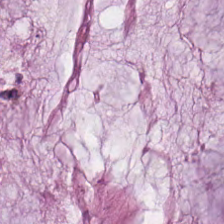This patch shows mucus.
